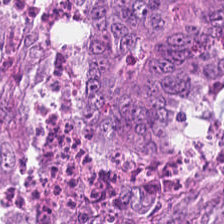Histology → adenocarcinoma.
